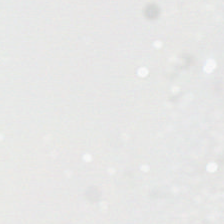H&E-stained tissue section — This patch shows no tissue.
